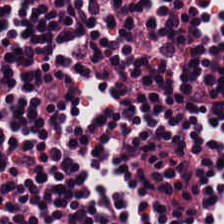Stain: hematoxylin-and-eosin stained section.
Tissue type: lymphocytic infiltrate.
